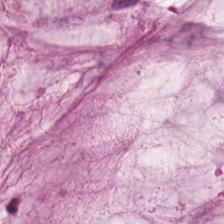224×224 px patch; hematoxylin-and-eosin stained section; FFPE tissue section. Predominantly mucin.
